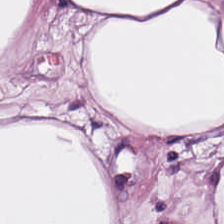H&E-stained tissue section.
Fat tissue.
